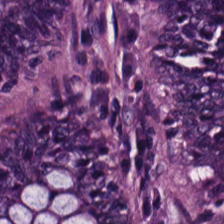H&E stain · 20× equivalent magnification. Showing normal colon mucosa.
